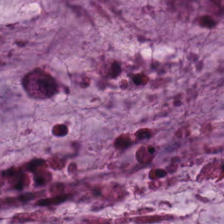Stain: H&E-stained tissue section.
Resolution: 0.5 µm/px.
Tissue class: mucin.
